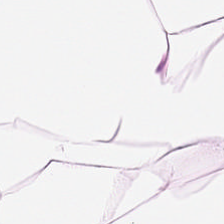This patch shows adipose tissue.
